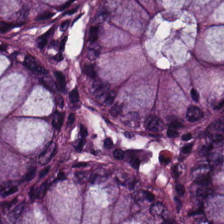WSI patch. H&E.
Predominant tissue: normal colon mucosa.
